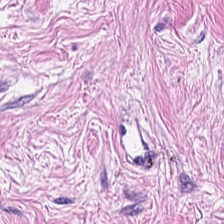Whole-slide-image patch. Hematoxylin-and-eosin stained section. The tissue here is cancer-associated stroma.
